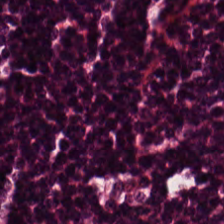Tissue class: lymphocytes.
